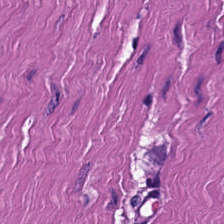Hematoxylin-and-eosin stained section. Q: Identify the tissue.
A: This is smooth-muscle tissue.
